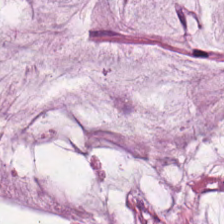Hematoxylin-and-eosin stained section · 0.5 µm/px — This patch shows extracellular mucin.
